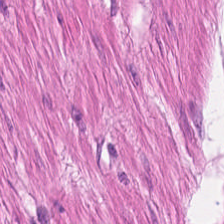The predominant tissue is muscularis.
